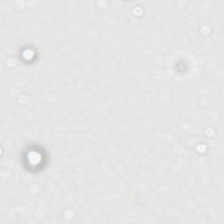Empty field — empty background.
